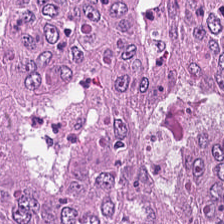H&E-stained tissue section; 0.5 microns per pixel.
Predominantly colorectal adenocarcinoma epithelium.
